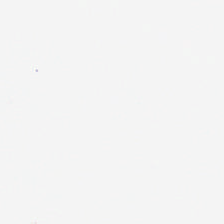H&E-stained tissue section.
Q: What is shown in this field?
A: The field shows background (no tissue).
